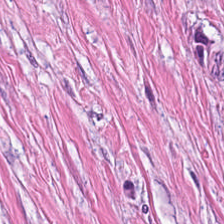H&E stain. Tissue class — cancer-associated stroma.
